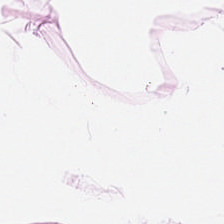Hematoxylin-and-eosin stained section.
Showing adipose.
